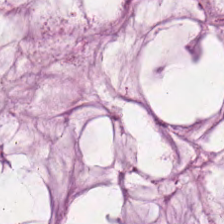224×224 px tile. H&E. 0.5 microns per pixel. Extracellular mucin.
